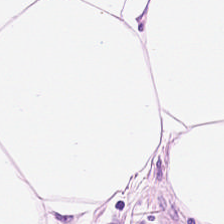Whole-slide-image patch. 0.5 µm per pixel. Hematoxylin-and-eosin stained section. Q: What does this patch show?
A: Fat tissue.
